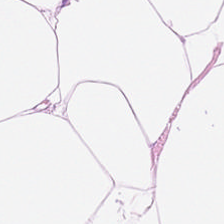H&E-stained tissue section; 224×224 pixel tile — Q: What is shown in this field?
A: Adipose.
